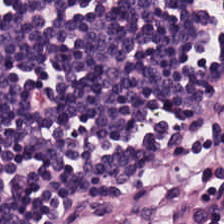224×224 px tile; H&E — Lymphoid infiltrate.
